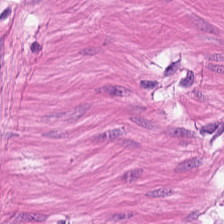H&E stain.
Smooth-muscle tissue.
